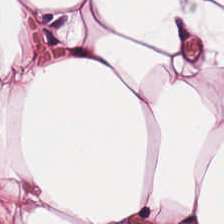224×224 px patch. H&E-stained tissue section. Brightfield. Tissue class = fat tissue.
